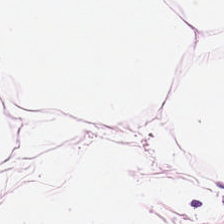H&E-stained tissue section — This patch shows fat tissue.
